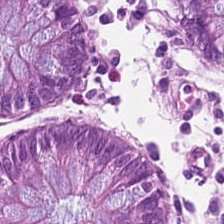Stain: H&E.
Classification: non-neoplastic colon mucosa.
